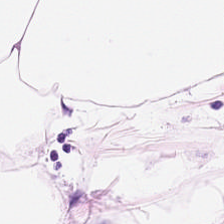Hematoxylin and eosin — Q: Identify the tissue.
A: The field shows adipocytes.
